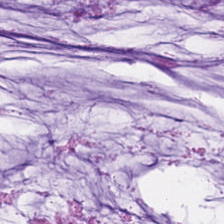H&E patch showing mucus.
